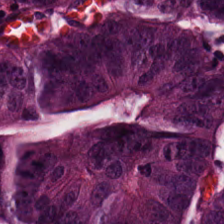H&E; 224×224 pixel tile. Q: What does this patch show?
A: Colorectal adenocarcinoma epithelium.
